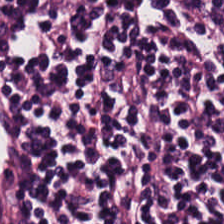Stain: hematoxylin-and-eosin stained section.
Tissue class: lymphocyte aggregate.
